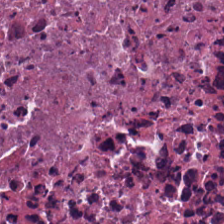H&E stain.
The predominant tissue is debris.
